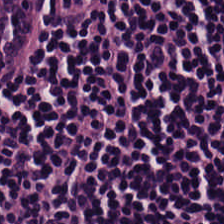H&E. Tissue — lymphocytes.
